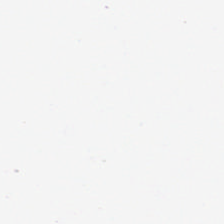H&E.
Background — no tissue in this field.
